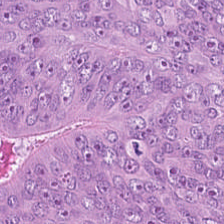Formalin-fixed paraffin-embedded section. H&E stain — Showing colorectal adenocarcinoma epithelium.
